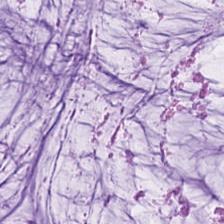H&E stain.
{"tissue_type": "mucin"}
